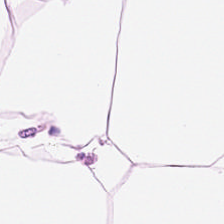H&E stain.
Showing fat tissue.
